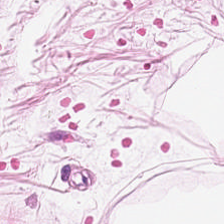Tissue: adipose.
